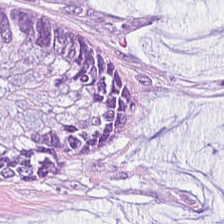Hematoxylin-and-eosin stained section. Brightfield microscopy. The predominant tissue is mucin.
